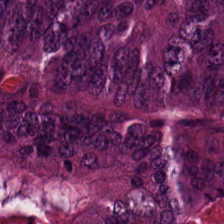This field is malignant epithelium.
